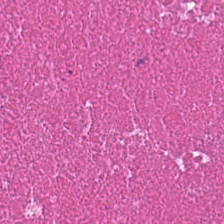Q: What does this patch show?
A: This is cellular debris.
